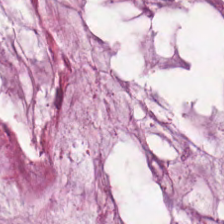Hematoxylin and eosin. Histology → mucus.
